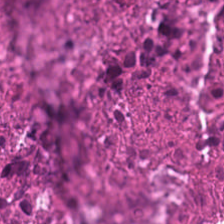H&E-stained tissue section showing necrotic debris.
